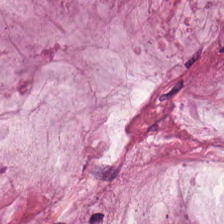H&E. 224×224 pixel tile. WSI patch — Showing mucin.
